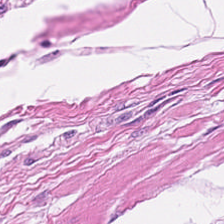20× equivalent magnification; FFPE; hematoxylin and eosin — {"tissue_type": "smooth-muscle tissue"}
